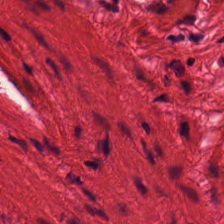H&E stain — Showing muscularis.
